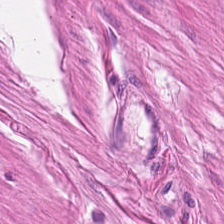Stain: hematoxylin-and-eosin stained section.
Preparation: FFPE.
Tile size: 224×224 px patch.
Classification: smooth muscle.
